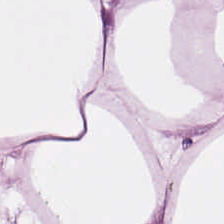H&E stain — The tissue here is adipose.
